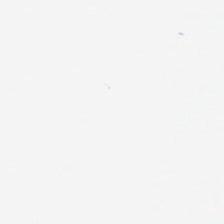H&E-stained tissue section · 224×224 px tile — Background.
